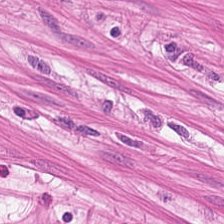H&E patch showing muscularis.
